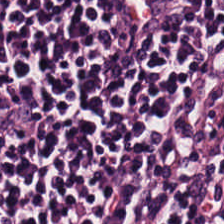0.5 µm/px. FFPE tissue section. H&E-stained tissue section — Classification: lymphoid infiltrate.
